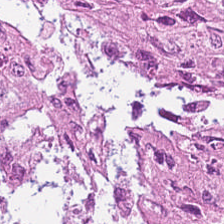H&E.
Colorectal adenocarcinoma epithelium.
